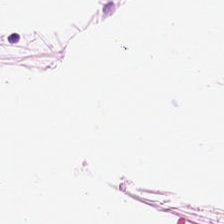224×224 px patch · hematoxylin-and-eosin stained section · FFPE tissue section — Tissue — fat tissue.
